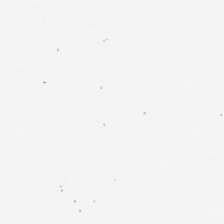H&E-stained tissue section. 224×224 pixel tile — This field is background (no tissue).
